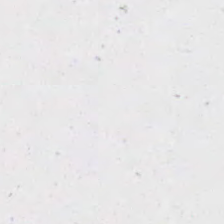Stain: hematoxylin and eosin.
Field content: background (no tissue).
